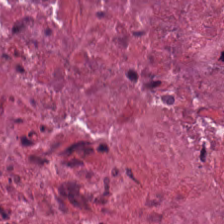0.5 microns per pixel · H&E-stained tissue section.
The tissue here is cellular debris.
